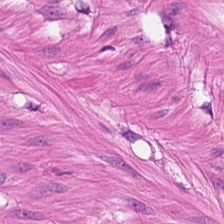Q: What tissue type is shown here?
A: The field shows muscularis.
